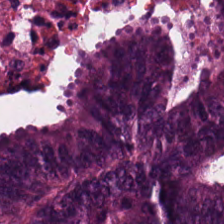Hematoxylin and eosin.
Impression → adenocarcinoma.
